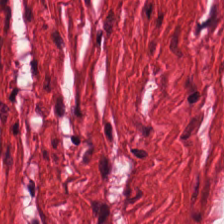0.5 µm/px. Hematoxylin-and-eosin stained section. FFPE tissue section.
Tissue class: smooth muscle.
